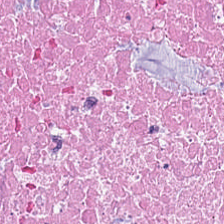Hematoxylin and eosin; 224×224 px patch.
The tissue here is cellular debris.
